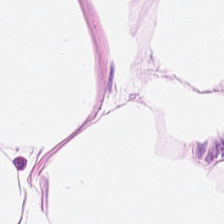Hematoxylin and eosin.
Q: What is shown in this field?
A: The field shows adipocytes.
